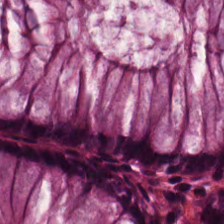20× equivalent magnification. 224×224 px tile. Hematoxylin and eosin — The classification is non-neoplastic colon mucosa.
